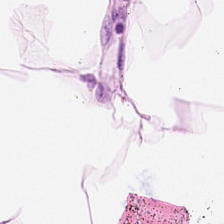Hematoxylin and eosin; FFPE tissue section; 20× equivalent magnification.
Impression → adipose tissue.
